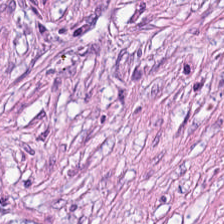20× equivalent magnification · hematoxylin and eosin. Tumor stroma.
